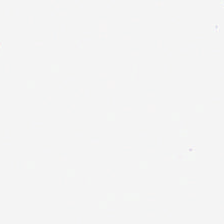H&E — Empty field — background (no tissue).
